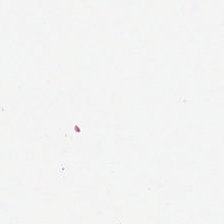H&E.
Finding → background (no tissue).
